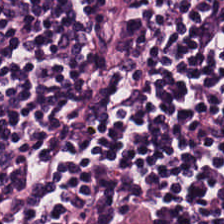H&E patch showing lymphocytic infiltrate.
